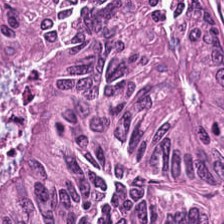Hematoxylin-and-eosin stained section — Classification — adenocarcinoma.
